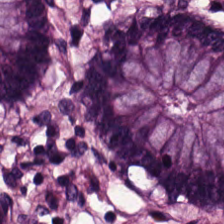Hematoxylin and eosin. Impression — non-neoplastic colon mucosa.
